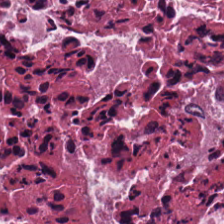H&E · 224×224 pixel tile · FFPE.
Q: Identify the tissue.
A: It is cellular debris.
